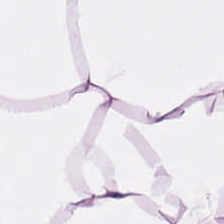H&E · FFPE.
This patch shows adipose tissue.
